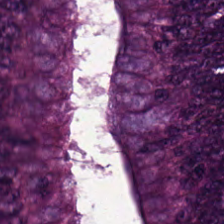H&E stain. 0.5 microns per pixel.
Showing malignant epithelium.
